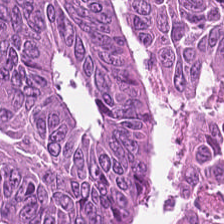Hematoxylin-and-eosin stained section — Q: What tissue type is shown here?
A: It is colorectal adenocarcinoma epithelium.
